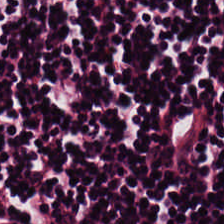Hematoxylin and eosin.
Q: What is shown here?
A: The field shows lymphocytic infiltrate.
